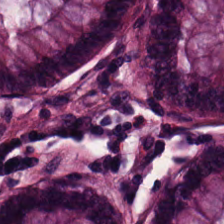Hematoxylin-and-eosin stained section; FFPE.
The predominant tissue is normal colon mucosa.
